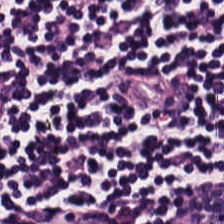{"tissue_type": "lymphoid infiltrate"}
